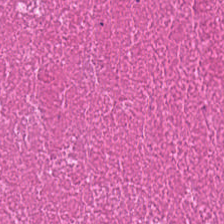FFPE tissue section · 224×224 pixel tile · hematoxylin-and-eosin stained section. Q: What does this patch show?
A: Debris.
